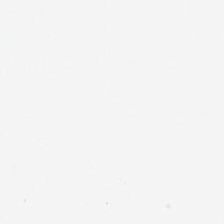Empty background.
